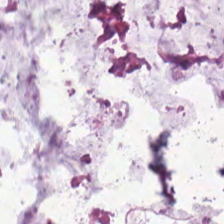H&E-stained tissue section; whole-slide-image patch; 224×224 px patch — Mucin.
